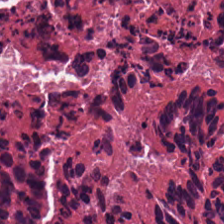Hematoxylin and eosin.
Showing debris.
